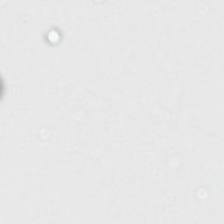H&E. {"content": "background"}
